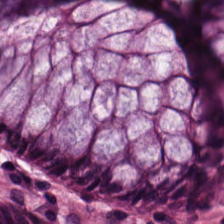H&E-stained tissue section; brightfield microscopy; 224×224 px tile — Histology → benign colonic mucosa.
